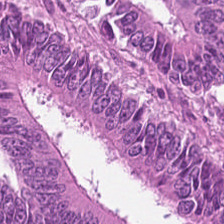Hematoxylin and eosin.
Predominantly adenocarcinoma.
